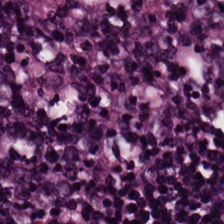Tissue: lymphocytes.
